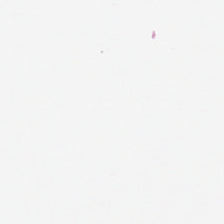Empty field — no tissue.
